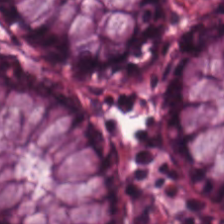224×224 pixel tile; hematoxylin-and-eosin stained section. The tissue here is normal colonic mucosa.
